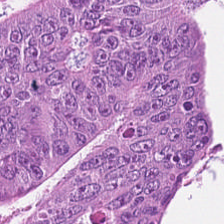Hematoxylin-and-eosin stained section.
Predominantly colorectal adenocarcinoma.
